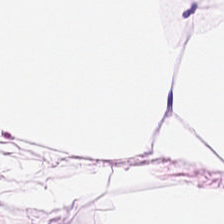Hematoxylin and eosin — Q: What is shown in this field?
A: The field shows adipose.
